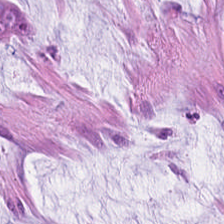H&E — mucin.
